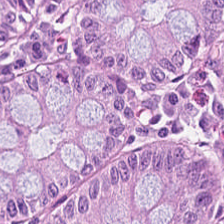Hematoxylin and eosin. Tissue = non-neoplastic colon mucosa.
